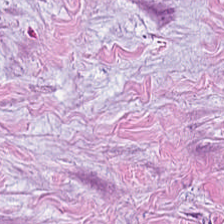H&E-stained tissue section.
The tissue class is desmoplastic stroma.
